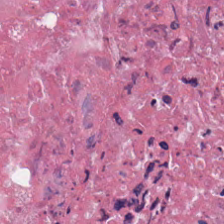Stain: H&E-stained tissue section.
Preparation: FFPE tissue section.
Tile size: 224×224 pixel tile.
Tissue: debris.
